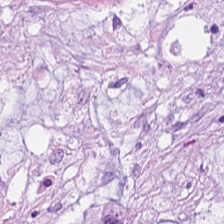Stain: H&E-stained tissue section.
Acquisition: brightfield microscopy.
Resolution: 20× equivalent magnification.
Tissue type: extracellular mucin.
